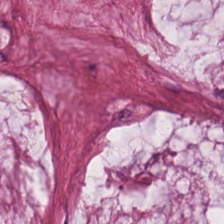H&E-stained tissue section showing mucus.
